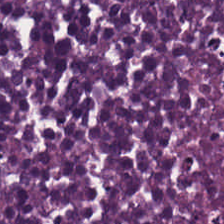Finding → debris.
